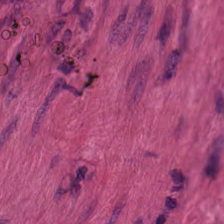H&E; 0.5 microns per pixel; brightfield — Tissue class: muscularis.
